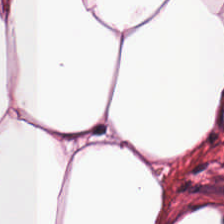H&E-stained tissue section.
Tissue = fat tissue.
